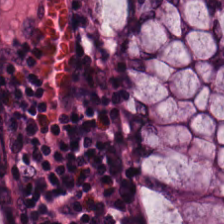Brightfield microscopy · FFPE tissue section · H&E.
Finding → normal colonic mucosa.
